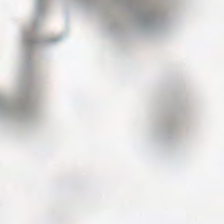This patch shows background (no tissue).
